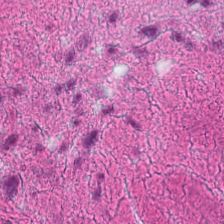Hematoxylin-and-eosin stained section. This field is necrotic debris.
